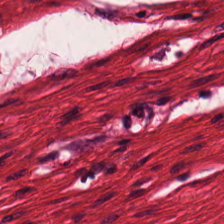Hematoxylin-and-eosin section: smooth muscle.
